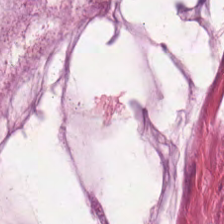Formalin-fixed paraffin-embedded section · hematoxylin and eosin.
The predominant tissue is mucin.
